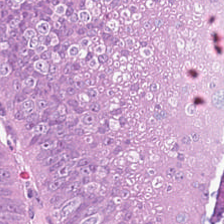H&E · whole-slide-image patch — This patch shows colorectal adenocarcinoma.
